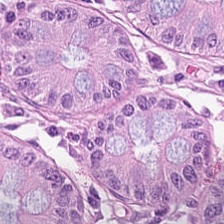Hematoxylin and eosin — The tissue class is normal colonic mucosa.
